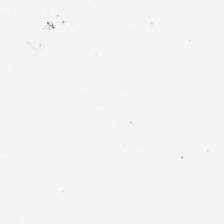Hematoxylin and eosin. 224×224 px tile — {"content": "background"}
